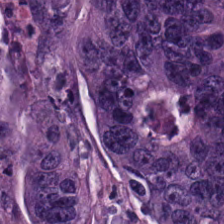Stain: H&E.
Tissue: colorectal adenocarcinoma epithelium.
